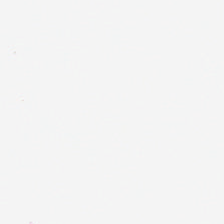Stain: H&E-stained tissue section.
Resolution: 0.5 µm per pixel.
Acquisition: whole-slide-image patch.
Field content: empty background.
